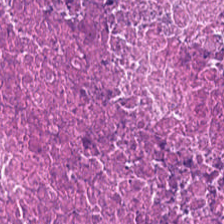FFPE tissue section; H&E. Predominantly necrotic debris.
